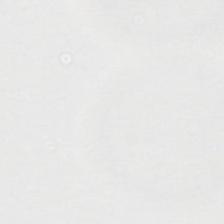H&E-stained tissue section. No tissue present; background only.
